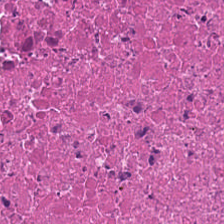H&E stain.
Q: What is shown in this field?
A: The field shows cellular debris.
